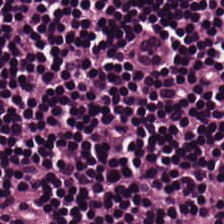Hematoxylin and eosin.
The tissue type is lymphocytic infiltrate.
